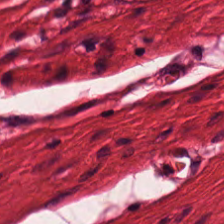Hematoxylin-and-eosin stained section. FFPE. Brightfield microscopy.
The predominant tissue is muscularis.
